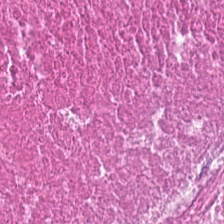This patch shows necrotic debris.
